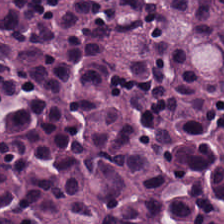Hematoxylin-and-eosin stained section; 0.5 µm/px; FFPE — This field is lymphoid infiltrate.
